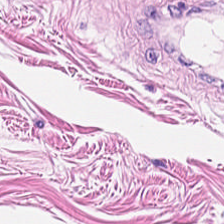H&E; 224×224 pixel tile.
Q: Classify this patch.
A: The field shows smooth muscle.
